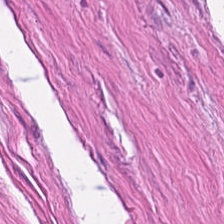Brightfield; H&E — Q: What type of tissue is this?
A: This is smooth-muscle tissue.
